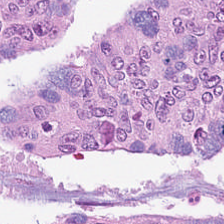Stain: H&E stain.
Preparation: FFPE.
Predominant tissue: tumor epithelium.
